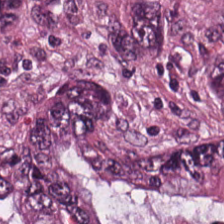Predominantly colorectal adenocarcinoma.
